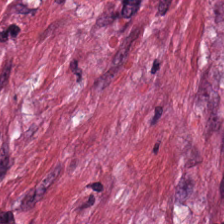224×224 px patch. Whole-slide-image patch. H&E stain. This patch shows desmoplastic stroma.
